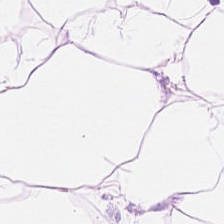Stain: H&E.
Tissue type: fat tissue.
